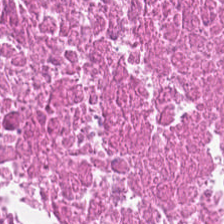Stain: H&E-stained tissue section.
Classification: necrotic debris.
